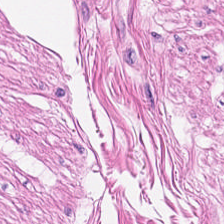Hematoxylin-and-eosin stained section. This field is smooth muscle.
